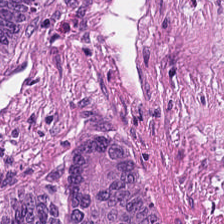H&E stain.
Classification: malignant epithelium.
